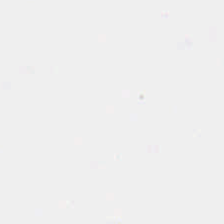H&E-stained tissue section · brightfield microscopy.
Empty field — empty background.
